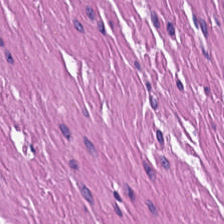Stain: H&E stain.
Preparation: FFPE tissue section.
Predominant tissue: smooth muscle.
